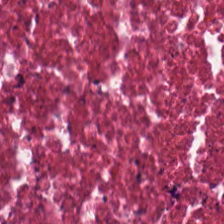Brightfield; H&E-stained tissue section; formalin-fixed paraffin-embedded section. Predominantly cellular debris.
